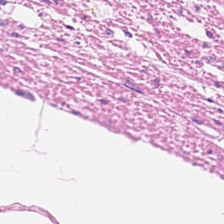Hematoxylin-and-eosin stained section. Brightfield microscopy. Formalin-fixed paraffin-embedded section.
Q: What tissue is shown?
A: This is smooth muscle.
